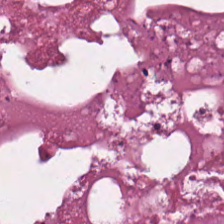Hematoxylin and eosin — Tissue class — cellular debris.
